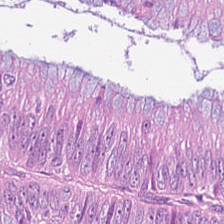Stain: hematoxylin-and-eosin stained section.
Tissue class: adenocarcinoma.
